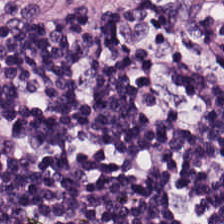20× equivalent magnification; WSI patch; H&E. Tissue class = lymphocyte aggregate.
